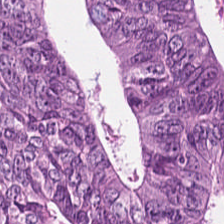Hematoxylin-and-eosin section: malignant epithelium.
